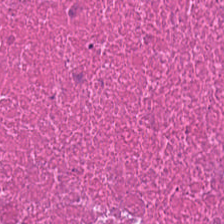This patch shows debris.
